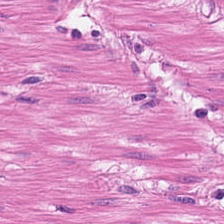Hematoxylin-and-eosin stained section · FFPE. Q: What type of tissue is this?
A: The field shows muscularis.
